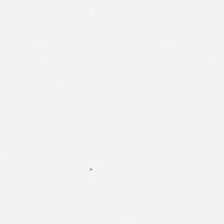Formalin-fixed paraffin-embedded section · H&E · 0.5 microns per pixel.
Q: What does this patch show?
A: This is background.
